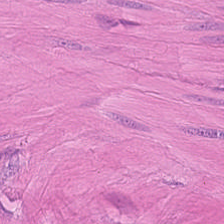H&E-stained tissue section showing smooth muscle.
